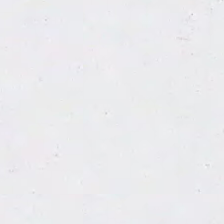Stain: H&E.
Preparation: FFPE tissue section.
Tile size: 224×224 px patch.
Content: background.
